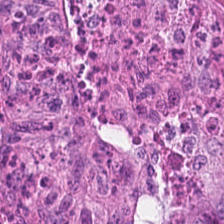Hematoxylin-and-eosin stained section — The predominant tissue is malignant epithelium.
